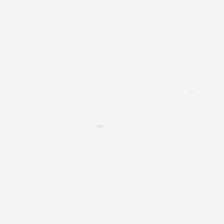H&E stain — Finding — empty background.
